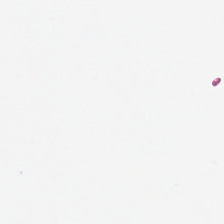Hematoxylin-and-eosin stained section. Q: Classify this patch.
A: The field shows no tissue.
